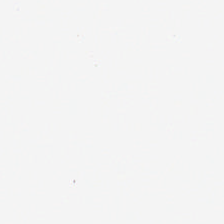No tissue present; background only.
